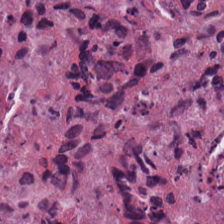Predominant tissue = cellular debris.
